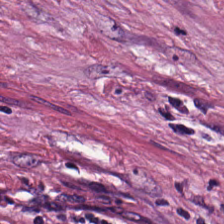H&E stain; FFPE tissue section. Tissue — cancer-associated stroma.
